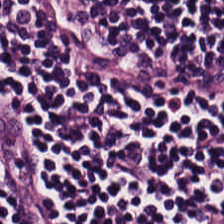H&E-stained tissue section · 0.5 µm/px — This patch shows lymphoid infiltrate.
